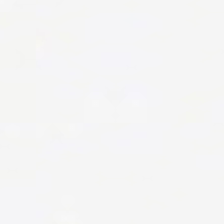H&E — Q: What does this patch show?
A: Empty background.
